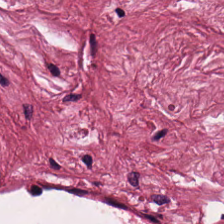20× equivalent magnification; H&E.
Impression → desmoplastic stroma.
